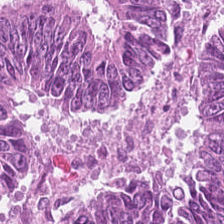Hematoxylin-and-eosin stained section. Finding → tumor epithelium.
